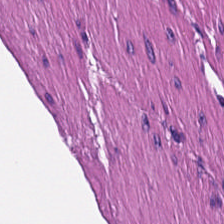Hematoxylin-and-eosin stained section; 224×224 px patch.
Predominantly smooth muscle.
